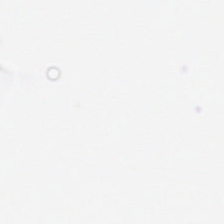H&E-stained tissue section. FFPE. Empty field — background.
